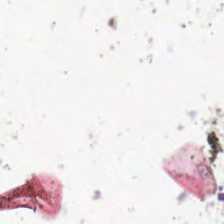H&E-stained tissue section; 20× equivalent magnification — This field is background (no tissue).
